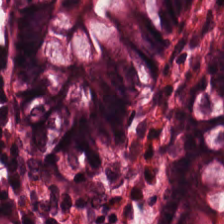Hematoxylin and eosin. Q: Identify the tissue.
A: The field shows normal colon mucosa.
